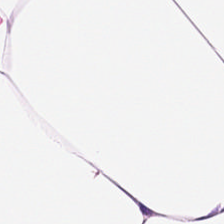0.5 µm/px; 224×224 pixel tile; H&E stain. Q: What type of tissue is this?
A: This is fat tissue.
